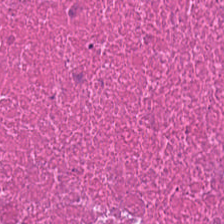H&E — Impression — cellular debris.
